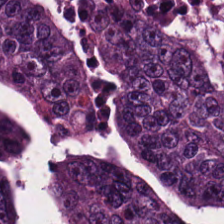Stain: hematoxylin-and-eosin stained section.
Tissue type: tumor epithelium.
